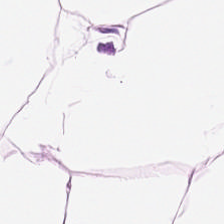H&E-stained tissue section · 224×224 px tile — Tissue class = adipose tissue.
